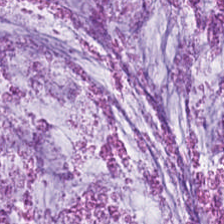Showing mucin.
